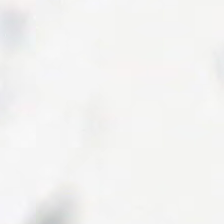Field content = no tissue.
